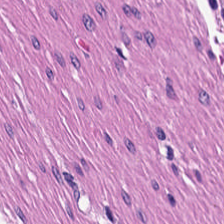224×224 px patch · H&E stain · formalin-fixed paraffin-embedded section.
Q: Classify this patch.
A: Smooth muscle.
